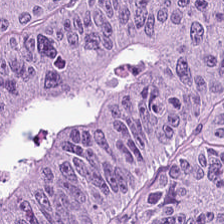H&E-stained tissue section. Tissue type — adenocarcinoma.
